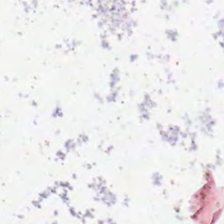This field is background (no tissue).
